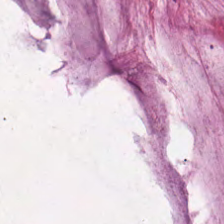Brightfield. 224×224 px tile. H&E — The tissue type is extracellular mucin.
